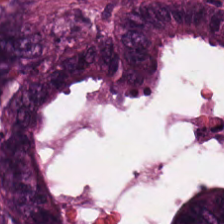H&E stain. This field is malignant epithelium.
